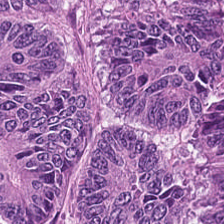H&E; 0.5 µm/px. Finding → colorectal adenocarcinoma.
